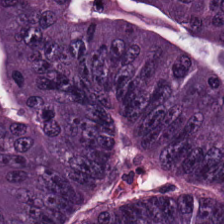H&E. Q: What does this patch show?
A: Colorectal adenocarcinoma epithelium.
